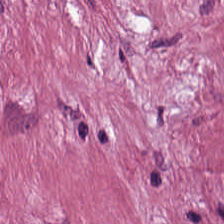WSI patch; hematoxylin-and-eosin stained section — Q: What does this patch show?
A: It is tumor stroma.
